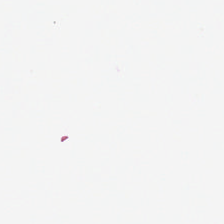FFPE tissue section · 0.5 µm per pixel · H&E-stained tissue section. The content is no tissue.
